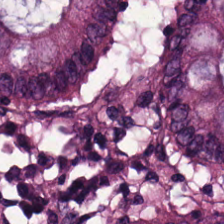224×224 pixel tile · H&E stain — Predominant tissue — normal colon mucosa.
